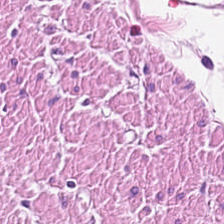H&E stain. This patch shows smooth-muscle tissue.
